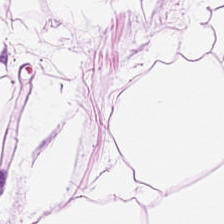Stain: hematoxylin and eosin.
Tissue class: adipose tissue.
